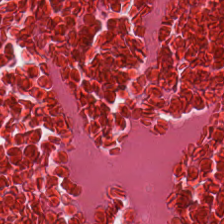H&E-stained tissue section — Q: What is shown in this field?
A: Debris.
